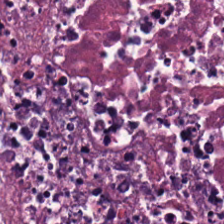Hematoxylin-and-eosin stained section.
Classification — cellular debris.
